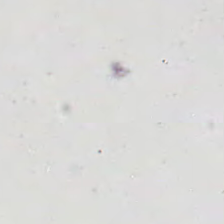H&E stain. 224×224 px tile.
Empty field — no tissue.
